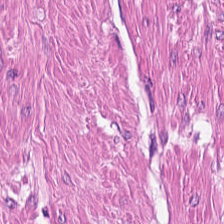Hematoxylin and eosin. Tissue class — muscularis.
